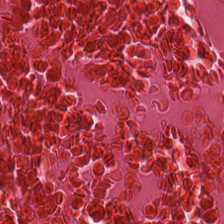Stain: hematoxylin-and-eosin stained section.
Predominant tissue: necrotic debris.
